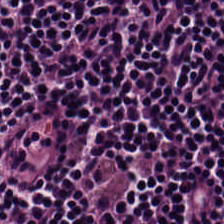The predominant tissue is lymphocyte aggregate.
